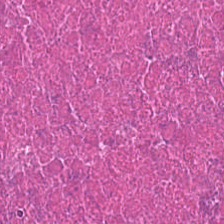Hematoxylin-and-eosin stained section.
Tissue — necrotic debris.
